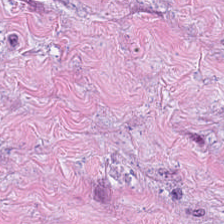H&E stain. Q: What does this patch show?
A: This is cancer-associated stroma.
